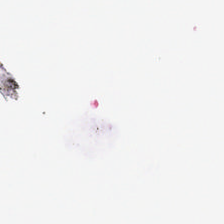Hematoxylin and eosin; 0.5 µm per pixel.
Empty background.
